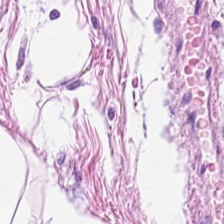Brightfield microscopy · H&E. This field is adipocytes.
